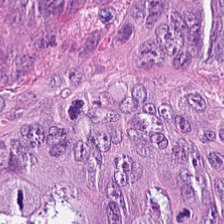FFPE tissue section · H&E.
The classification is malignant epithelium.
